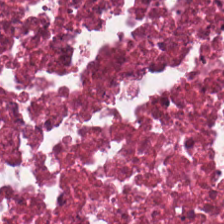0.5 µm/px. Hematoxylin-and-eosin stained section.
Finding → necrotic debris.
